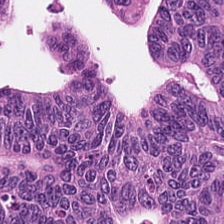H&E stain; 224×224 px tile; FFPE.
Q: What tissue type is shown here?
A: The field shows colorectal adenocarcinoma epithelium.
